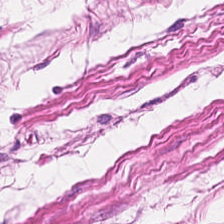Hematoxylin-and-eosin stained section. 224×224 px tile. Whole-slide-image patch — Smooth-muscle tissue.
